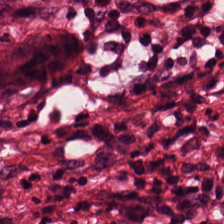{"tissue_type": "cancer-associated stroma"}
